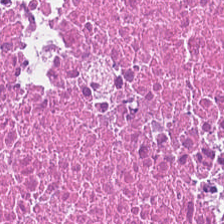0.5 microns per pixel · brightfield · H&E-stained tissue section. Tissue type — cellular debris.
